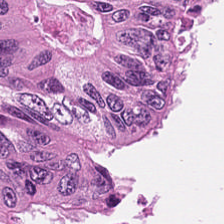Necrotic debris.
